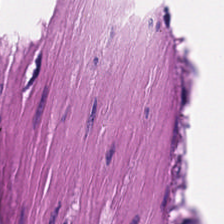H&E.
Tissue type = smooth muscle.
